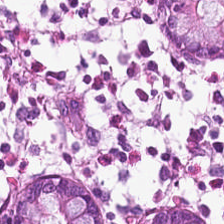H&E stain.
Q: What type of tissue is this?
A: This is normal colonic mucosa.
